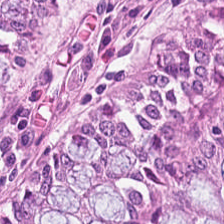Hematoxylin-and-eosin stained section. Normal colon mucosa.
